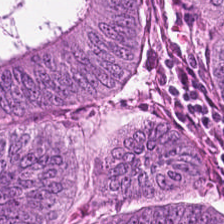Hematoxylin-and-eosin section: adenocarcinoma.
